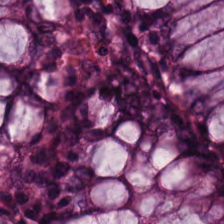Hematoxylin and eosin. Impression → normal colonic mucosa.
